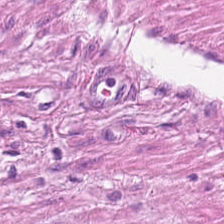Hematoxylin-and-eosin stained section — Histology — muscularis.
